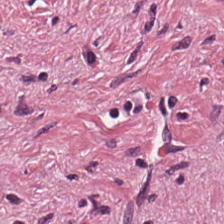H&E stain; brightfield — Classification — cancer-associated stroma.
